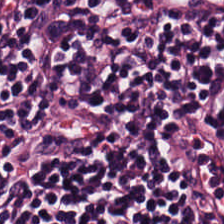Brightfield microscopy. H&E. 0.5 µm/px — Tissue = lymphoid infiltrate.
